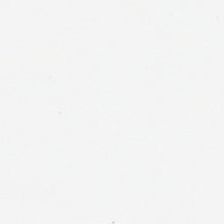No tissue present; background only.
